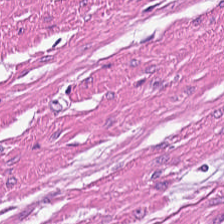WSI patch · hematoxylin-and-eosin stained section. Muscularis.
